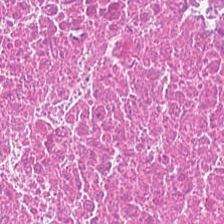Hematoxylin and eosin. This field is debris.
